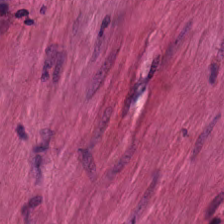H&E · 0.5 µm/px — Predominantly muscularis.
